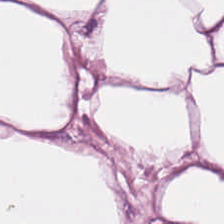H&E-stained tissue section showing adipocytes.
